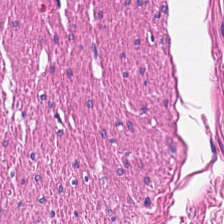H&E-stained tissue section.
This patch shows smooth-muscle tissue.
